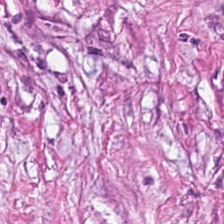Hematoxylin and eosin — Q: What is shown in this field?
A: Cancer-associated stroma.
